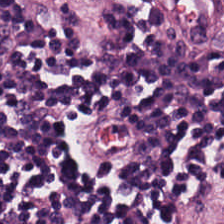Tissue type: lymphoid infiltrate.
